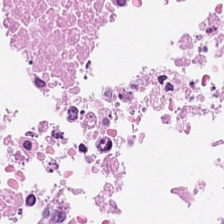224×224 pixel tile. H&E stain.
Q: What tissue type is shown here?
A: It is cellular debris.
